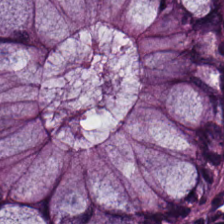0.5 microns per pixel. Hematoxylin-and-eosin stained section. The tissue here is normal colonic mucosa.
